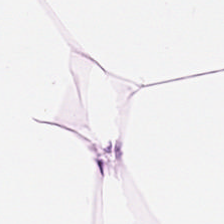FFPE tissue section · hematoxylin and eosin — Q: What is the predominant tissue type?
A: This is fat tissue.
